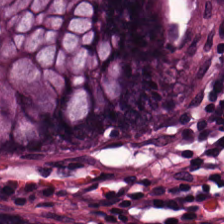0.5 µm/px; H&E-stained tissue section.
Impression — non-neoplastic colon mucosa.
